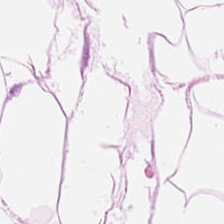Hematoxylin and eosin; FFPE tissue section. Q: What is the predominant tissue type?
A: This is adipose tissue.
